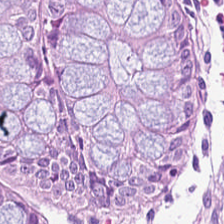Whole-slide-image patch. 20× equivalent magnification. H&E — Predominant tissue = normal colonic mucosa.
